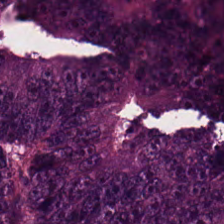Hematoxylin-and-eosin stained section. The predominant tissue is tumor epithelium.
